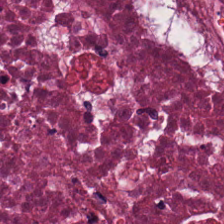Hematoxylin-and-eosin stained section. 0.5 µm/px.
Finding — necrotic debris.
